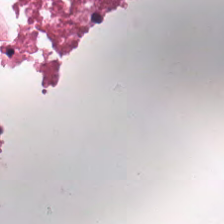Hematoxylin and eosin. This patch shows debris.
